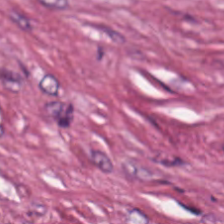H&E-stained tissue section; brightfield microscopy; FFPE — Q: What is the predominant tissue type?
A: It is cancer-associated stroma.
